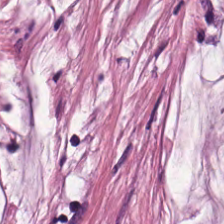H&E; 224×224 pixel tile.
Showing mucus.
